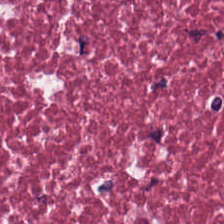Hematoxylin-and-eosin stained section.
Tissue — tumor stroma.
